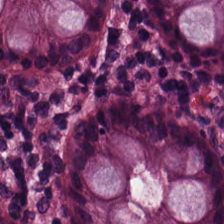H&E-stained tissue section. Q: Identify the tissue.
A: This is normal colonic mucosa.
